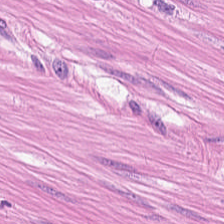0.5 µm/px. FFPE. Hematoxylin-and-eosin stained section.
The predominant tissue is smooth muscle.
